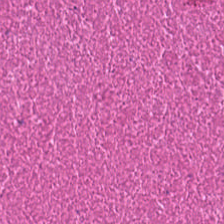Hematoxylin-and-eosin section: debris.
